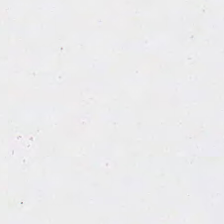Hematoxylin-and-eosin stained section. The field content is background (no tissue).
